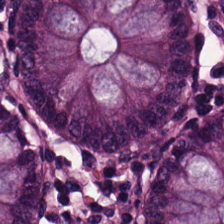Hematoxylin and eosin. Q: Identify the tissue.
A: The field shows non-neoplastic colon mucosa.
